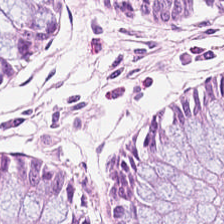Hematoxylin-and-eosin stained section. Finding → benign colonic mucosa.
